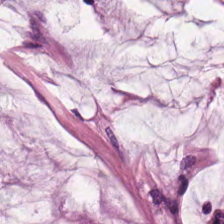Hematoxylin-and-eosin stained section · FFPE. Predominant tissue: mucin.
